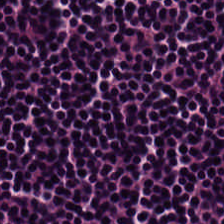Tissue class = lymphoid infiltrate.
